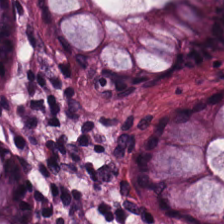H&E stain. Predominantly benign colonic mucosa.
